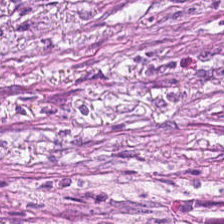Brightfield; 0.5 microns per pixel; H&E-stained tissue section.
Showing desmoplastic stroma.
